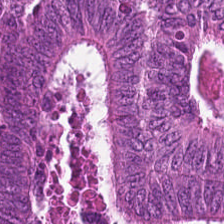Hematoxylin-and-eosin stained section — Predominantly colorectal adenocarcinoma epithelium.
